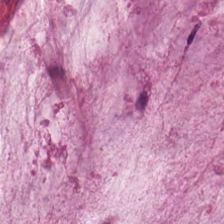Hematoxylin and eosin. Classification — mucus.
